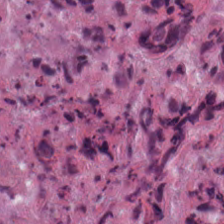Hematoxylin and eosin. Finding — necrotic debris.
